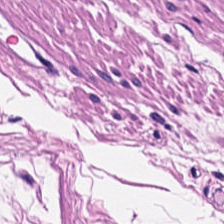{"tissue_type": "smooth-muscle tissue"}
